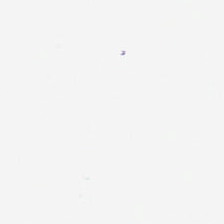H&E stain. This patch shows background (no tissue).
